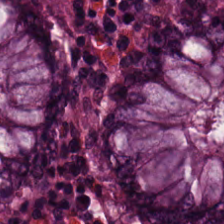H&E.
Tissue type — non-neoplastic colon mucosa.
